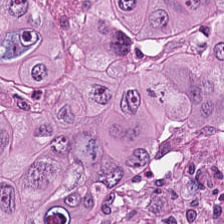H&E-stained section; the field shows adenocarcinoma.
